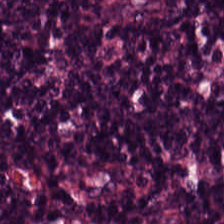Hematoxylin and eosin; 224×224 px tile.
Classification — lymphoid infiltrate.
